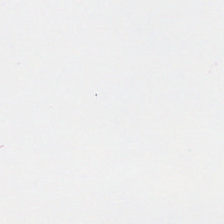This patch shows background (no tissue).
